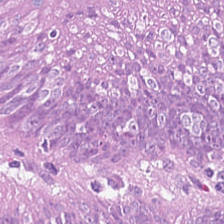Formalin-fixed paraffin-embedded section; 0.5 microns per pixel; hematoxylin-and-eosin stained section — Histology → colorectal adenocarcinoma.
